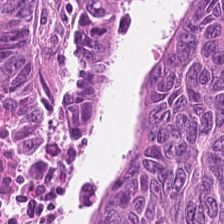H&E — Showing colorectal adenocarcinoma.
